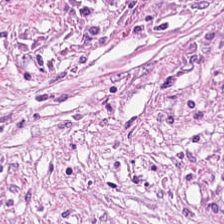Hematoxylin and eosin — The tissue is tumor stroma.
